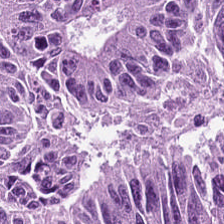H&E stain.
{"tissue_type": "adenocarcinoma"}
